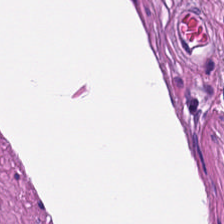Stain: H&E.
Classification: smooth-muscle tissue.
